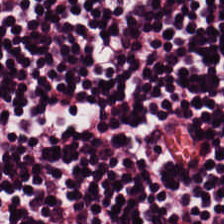H&E stain.
Q: Classify this patch.
A: Lymphocytes.
